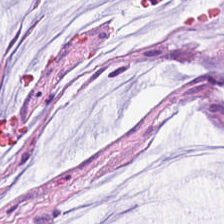H&E; WSI patch.
This field is extracellular mucin.
